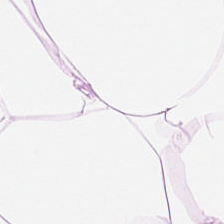H&E — Predominantly adipose.
